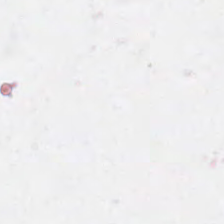224×224 pixel tile. H&E. Formalin-fixed paraffin-embedded section. The field content is background (no tissue).
